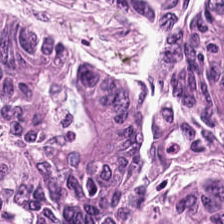H&E. Q: What does this patch show?
A: Tumor epithelium.
